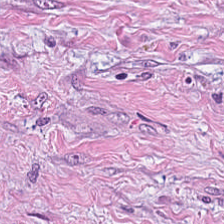Hematoxylin-and-eosin stained section. FFPE tissue section.
Tissue: tumor-associated stroma.
